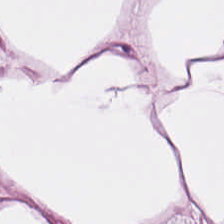H&E-stained section; the field shows adipose tissue.
